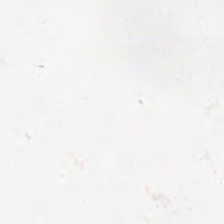H&E-stained tissue section; 224×224 px patch; brightfield — This patch shows empty background.
